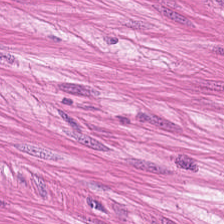H&E stain. {"tissue_type": "muscularis"}
